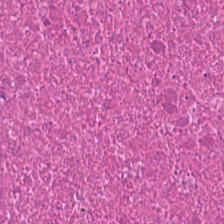Stain: H&E stain.
Tissue: debris.
